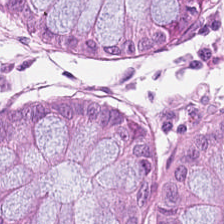Stain: H&E.
Acquisition: brightfield microscopy.
Classification: normal colon mucosa.
